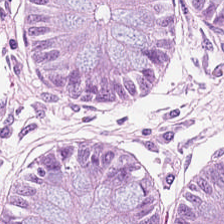H&E stain — Finding → benign colonic mucosa.
